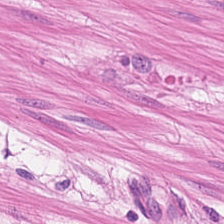H&E.
Muscularis.
